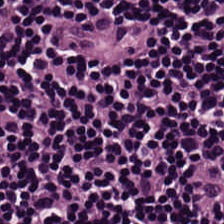FFPE · 0.5 microns per pixel · H&E stain.
Tissue: lymphocytic infiltrate.
